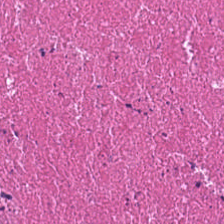Hematoxylin-and-eosin stained section. 0.5 microns per pixel. Histology → debris.
